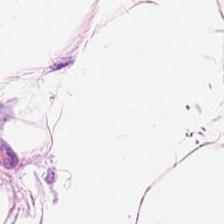Hematoxylin-and-eosin stained section.
Showing adipose tissue.
